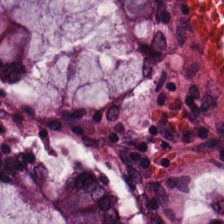Hematoxylin and eosin. Predominantly non-neoplastic colon mucosa.
